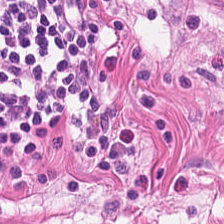Stain: H&E stain.
Tile size: 224×224 px tile.
Preparation: FFPE tissue section.
Classification: smooth-muscle tissue.
